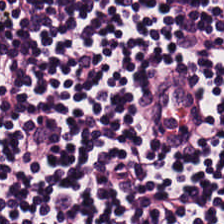H&E — Lymphoid infiltrate.
